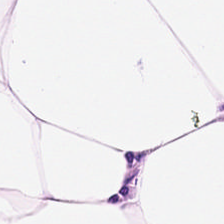Whole-slide-image patch · hematoxylin-and-eosin stained section.
This patch shows adipose tissue.
